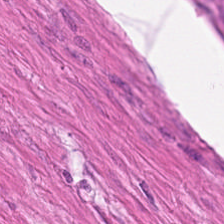H&E-stained section; the field shows smooth-muscle tissue.
